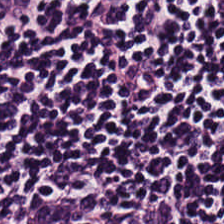H&E stain — The predominant tissue is lymphocytes.
